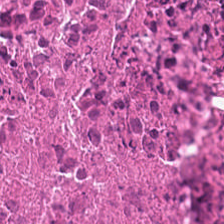FFPE · H&E-stained tissue section · 224×224 pixel tile.
The predominant tissue is debris.
